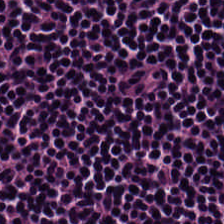224×224 px patch · brightfield microscopy · H&E-stained tissue section.
Tissue — lymphocyte aggregate.
